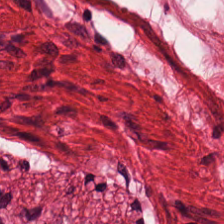Hematoxylin and eosin.
Muscularis.
